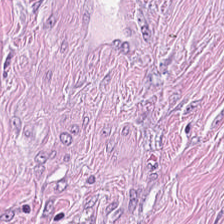Hematoxylin and eosin · WSI patch — This field is tumor-associated stroma.
